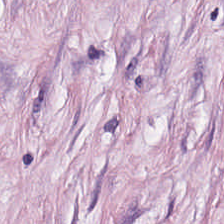224×224 px tile; H&E-stained tissue section; formalin-fixed paraffin-embedded section. The classification is tumor-associated stroma.
